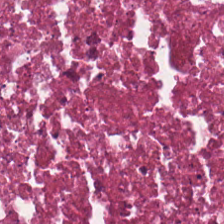H&E-stained tissue section; FFPE — The tissue here is cellular debris.
